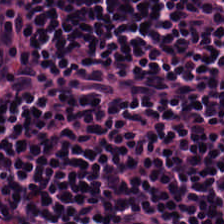Tissue type: lymphocyte aggregate.
